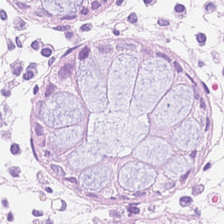H&E-stained tissue section. This field is non-neoplastic colon mucosa.
